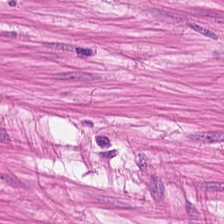Stain: H&E stain.
Tissue type: muscularis.
